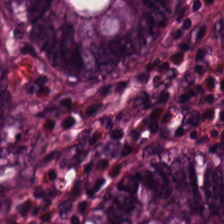224×224 px patch. FFPE. H&E-stained tissue section — Predominant tissue: normal colonic mucosa.
